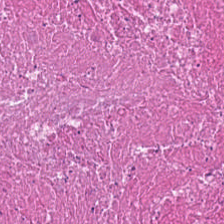Hematoxylin-and-eosin stained section — Tissue type: necrotic debris.
